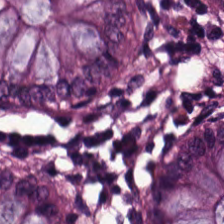Hematoxylin-and-eosin section: non-neoplastic colon mucosa.
